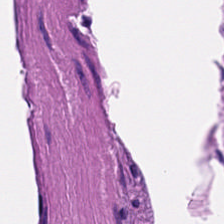Hematoxylin-and-eosin stained section. Tissue — muscularis.
